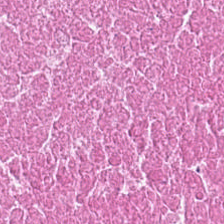H&E-stained tissue section. The tissue class is necrotic debris.
